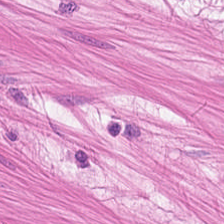H&E stain.
Histology — smooth muscle.
